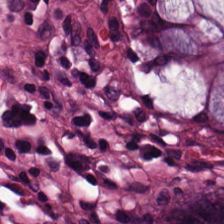Hematoxylin-and-eosin section: normal colonic mucosa.
